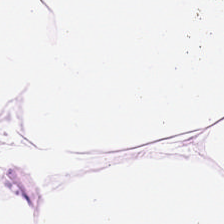The tissue class is adipose tissue.
